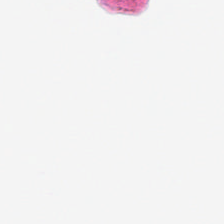H&E stain — Field content — empty background.
